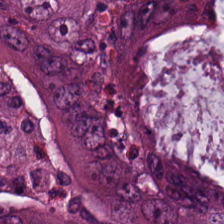224×224 px tile; H&E stain.
Showing colorectal adenocarcinoma.
